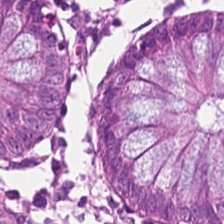FFPE · H&E-stained tissue section · 224×224 px tile — {"tissue_type": "normal colonic mucosa"}
